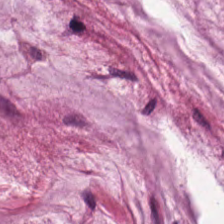H&E stain; 0.5 µm/px — Showing mucus.
